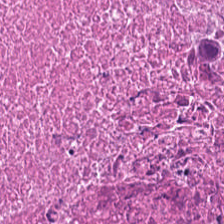Hematoxylin-and-eosin stained section — The tissue here is cellular debris.
